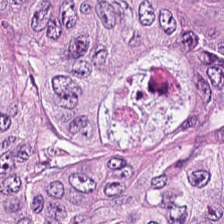Hematoxylin and eosin. WSI patch — The predominant tissue is colorectal adenocarcinoma epithelium.
